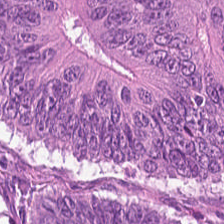Stain: hematoxylin and eosin.
Tile size: 224×224 px tile.
Tissue: malignant epithelium.
